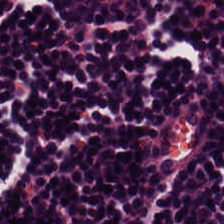Hematoxylin-and-eosin stained section. Histology — lymphocytic infiltrate.
